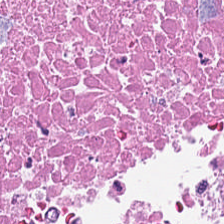FFPE tissue section. 0.5 microns per pixel. Hematoxylin-and-eosin stained section — The tissue here is debris.
